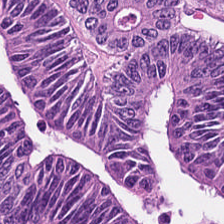Predominant tissue = colorectal adenocarcinoma.
